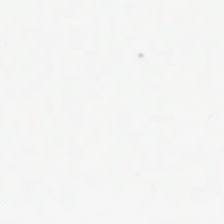This patch shows empty background.
